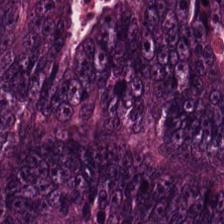Brightfield · formalin-fixed paraffin-embedded section · H&E-stained tissue section.
Predominant tissue: malignant epithelium.
